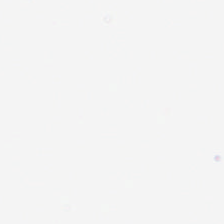Hematoxylin-and-eosin stained section.
Background.
